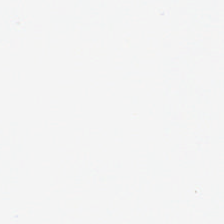WSI patch; H&E stain; 224×224 pixel tile.
Finding → no tissue.
